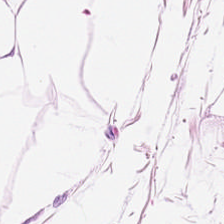0.5 microns per pixel · hematoxylin and eosin — Tissue — adipocytes.
